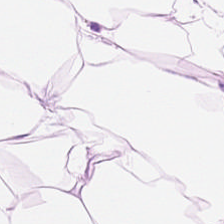Stain: hematoxylin and eosin.
Tissue class: adipocytes.
